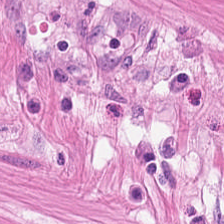Stain: H&E.
Tissue class: smooth muscle.
